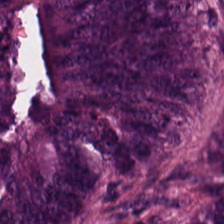H&E stain — This field is malignant epithelium.
